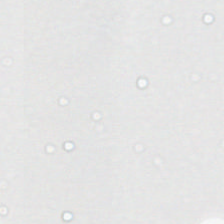H&E.
{"content": "background (no tissue)"}
